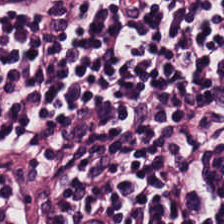Hematoxylin-and-eosin stained section — Q: What is shown in this field?
A: Lymphocyte aggregate.
